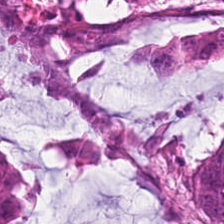H&E patch showing adenocarcinoma.
